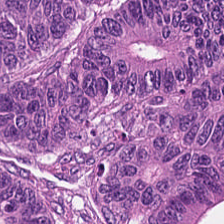H&E — The predominant tissue is malignant epithelium.
